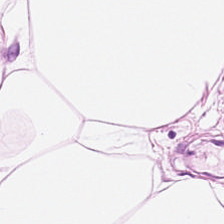Q: What tissue type is shown here?
A: The field shows adipose tissue.
